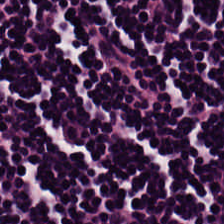Hematoxylin-and-eosin stained section — Q: What is shown in this field?
A: This is lymphocyte aggregate.
